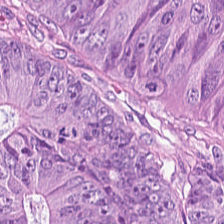Hematoxylin and eosin. Predominantly colorectal adenocarcinoma.
